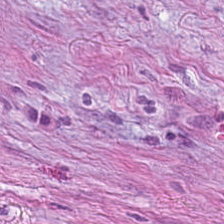Brightfield microscopy · FFPE · H&E — Q: What is shown in this field?
A: It is desmoplastic stroma.
